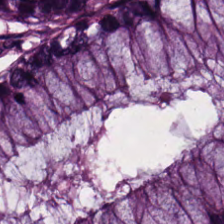FFPE tissue section · H&E stain — Tissue class — benign colonic mucosa.
